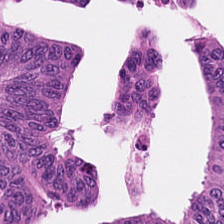H&E stain. 224×224 px patch. FFPE tissue section.
Showing colorectal adenocarcinoma epithelium.
